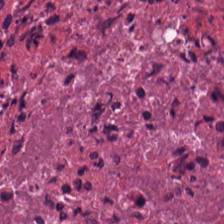Hematoxylin-and-eosin stained section. Brightfield microscopy — Tissue type — necrotic debris.
